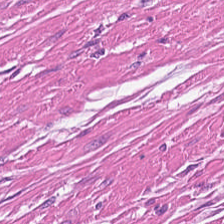{"tissue_type": "muscularis"}
